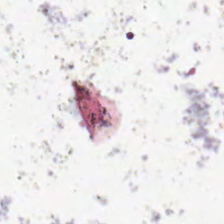H&E.
Field content: empty background.
